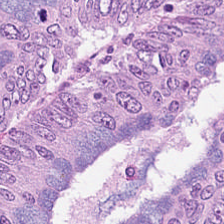This patch shows colorectal adenocarcinoma.
